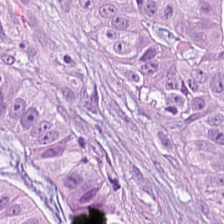FFPE tissue section; hematoxylin-and-eosin stained section. The tissue class is tumor epithelium.
